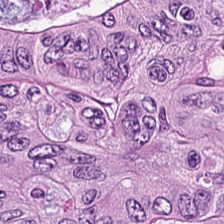WSI patch · formalin-fixed paraffin-embedded section · hematoxylin and eosin.
{"tissue_type": "colorectal adenocarcinoma"}
